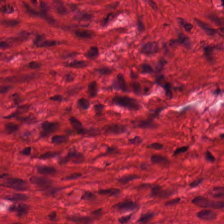This patch shows smooth-muscle tissue.
